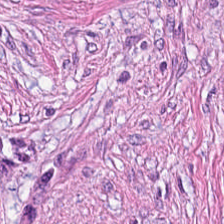0.5 microns per pixel · H&E stain. This patch shows tumor stroma.
